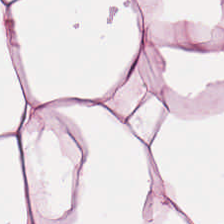Hematoxylin-and-eosin stained section · 224×224 px tile · brightfield microscopy.
Tissue type: adipose tissue.
